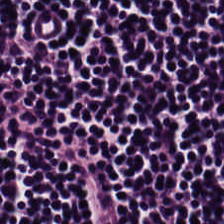Hematoxylin and eosin; 0.5 µm per pixel; FFPE tissue section — Predominant tissue = lymphocytes.
